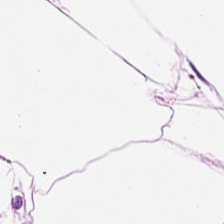H&E; brightfield; FFPE.
This patch shows adipose tissue.
